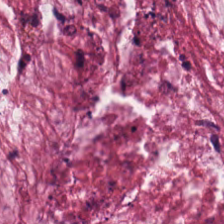H&E-stained section; the field shows mucin.
